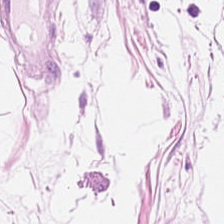H&E-stained section; the field shows fat tissue.
